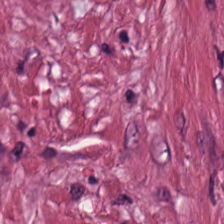224×224 px tile; H&E stain; WSI patch — This patch shows desmoplastic stroma.
